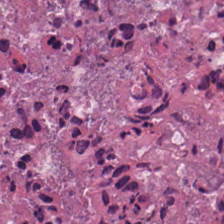Hematoxylin-and-eosin stained section — This patch shows necrotic debris.
